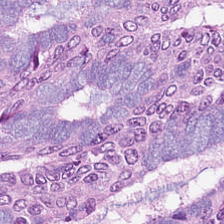224×224 pixel tile · FFPE tissue section · hematoxylin-and-eosin stained section. The predominant tissue is tumor epithelium.
